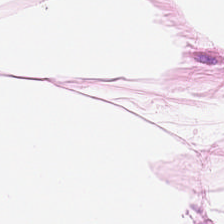Hematoxylin and eosin. This field is adipose.
